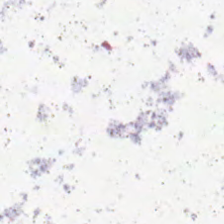Brightfield · H&E-stained tissue section — The content is no tissue.
